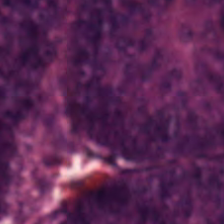Tissue type: colorectal adenocarcinoma epithelium.
